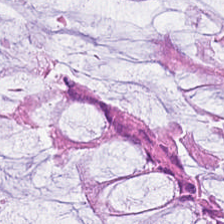Formalin-fixed paraffin-embedded section; H&E stain — The tissue here is normal colon mucosa.
